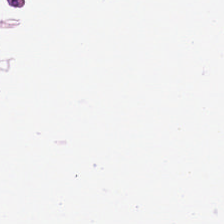H&E-stained tissue section; FFPE. Tissue type: adipose tissue.
